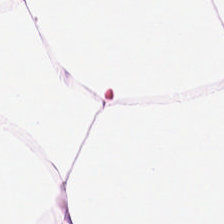H&E.
Q: What is shown here?
A: The field shows adipose.
